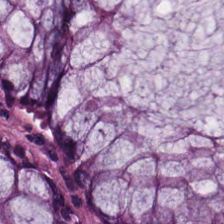H&E — Tissue = normal colon mucosa.
